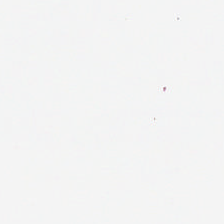Hematoxylin and eosin · formalin-fixed paraffin-embedded section.
The content is background (no tissue).
